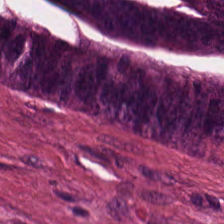Stain: H&E stain.
Tissue type: malignant epithelium.
